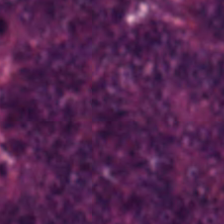Stain: H&E.
Resolution: 0.5 µm per pixel.
Tissue class: adenocarcinoma.
